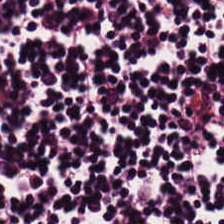H&E stain.
Lymphocytic infiltrate.
